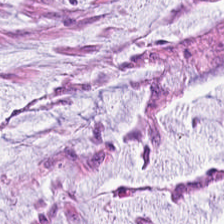H&E stain — Q: What type of tissue is this?
A: It is mucus.
